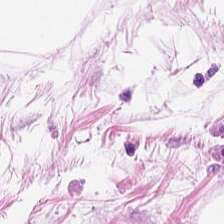H&E — Histology → adipose.
